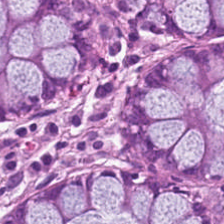{"tissue_type": "non-neoplastic colon mucosa"}
